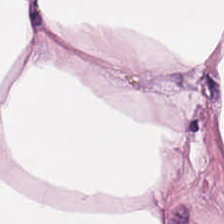Hematoxylin and eosin.
Q: What is shown here?
A: Adipose.
